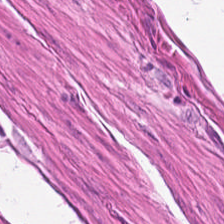Predominantly smooth muscle.
